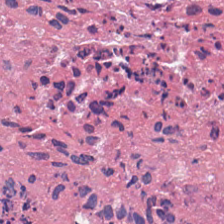H&E-stained tissue section showing cellular debris.
